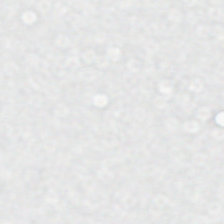H&E-stained tissue section — Q: What is shown here?
A: This is background.
